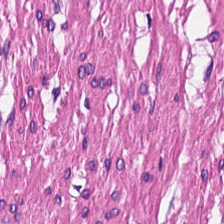224×224 px tile. Hematoxylin-and-eosin stained section.
The predominant tissue is smooth muscle.
